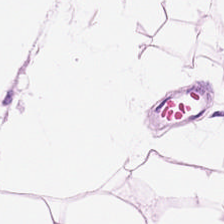Formalin-fixed paraffin-embedded section; H&E-stained tissue section.
Predominantly adipocytes.
